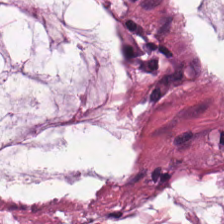The tissue class is extracellular mucin.
